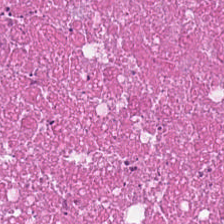Hematoxylin and eosin. Q: Identify the tissue.
A: Debris.
